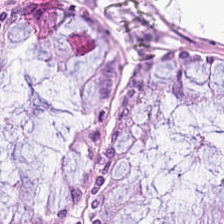Hematoxylin-and-eosin stained section · 224×224 px patch · FFPE. Q: What tissue is shown?
A: It is benign colonic mucosa.
